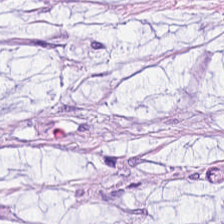Formalin-fixed paraffin-embedded section · H&E stain · WSI patch — Q: What type of tissue is this?
A: This is mucus.
